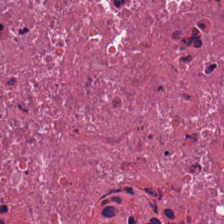Hematoxylin-and-eosin stained section. Finding — debris.
